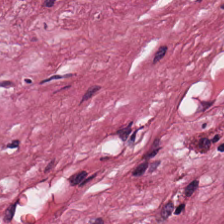H&E-stained section; the field shows cancer-associated stroma.
